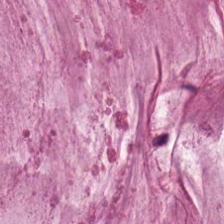H&E-stained tissue section showing extracellular mucin.
